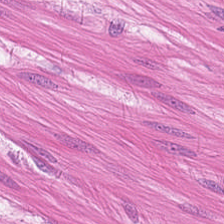Muscularis.
